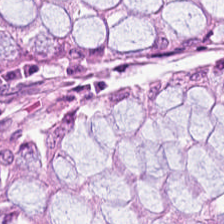The predominant tissue is normal colonic mucosa.
